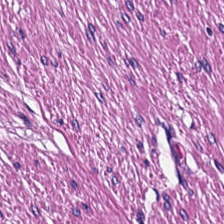Q: What type of tissue is this?
A: It is muscularis.
